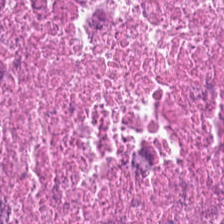H&E-stained section; the field shows debris.
